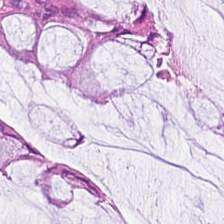H&E-stained tissue section · 0.5 µm/px · 224×224 px tile.
Impression → normal colon mucosa.
